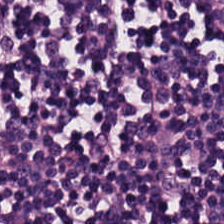224×224 px tile; 0.5 µm/px; H&E stain. The predominant tissue is lymphocyte aggregate.
